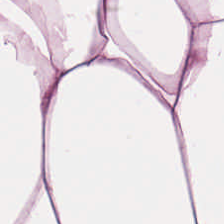FFPE tissue section. Hematoxylin-and-eosin stained section. Tissue type = adipose tissue.
